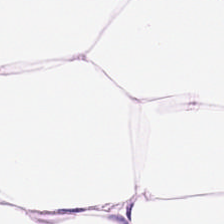Hematoxylin and eosin — Tissue type = adipocytes.
